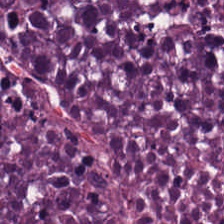Whole-slide-image patch. H&E — Q: Identify the tissue.
A: The field shows necrotic debris.
